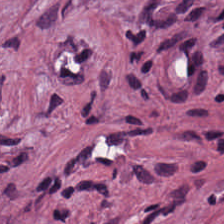H&E · 224×224 pixel tile. Predominantly cancer-associated stroma.
